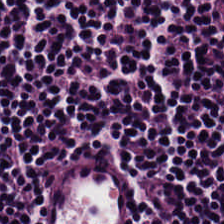H&E.
Lymphoid infiltrate.
